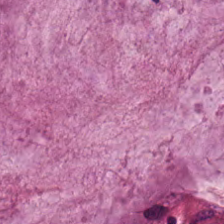H&E — Q: What is the predominant tissue type?
A: The field shows mucus.
